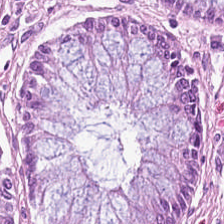Hematoxylin-and-eosin stained section.
Normal colon mucosa.
